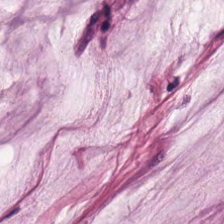Stain: H&E stain.
Preparation: FFPE tissue section.
Classification: mucin.
